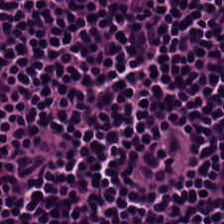H&E.
Predominantly lymphoid infiltrate.
